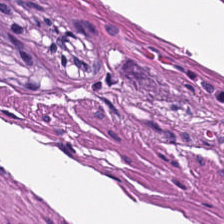H&E — Predominantly smooth-muscle tissue.
